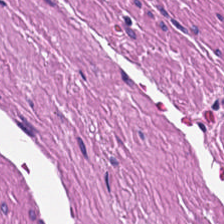H&E; 224×224 px tile; brightfield microscopy. Smooth-muscle tissue.
